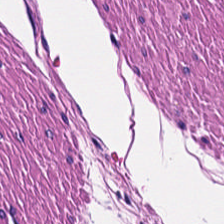Hematoxylin and eosin. Q: What does this patch show?
A: This is smooth-muscle tissue.
